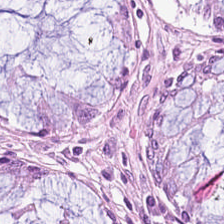Formalin-fixed paraffin-embedded section · hematoxylin and eosin. Benign colonic mucosa.
